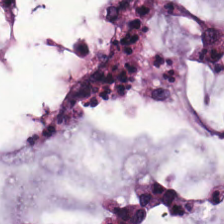WSI patch. FFPE. H&E-stained tissue section — The predominant tissue is mucus.
